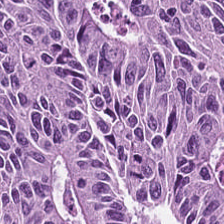Impression — adenocarcinoma.
